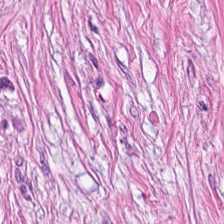H&E-stained tissue section — The predominant tissue is tumor-associated stroma.
